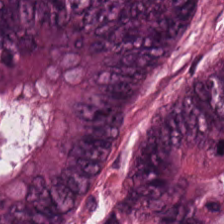Hematoxylin-and-eosin stained section.
This patch shows mucin.
